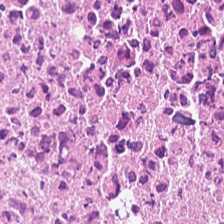Brightfield. H&E-stained tissue section. Tissue type = cellular debris.
